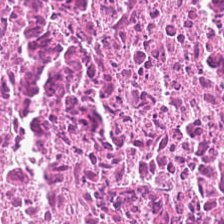Hematoxylin-and-eosin stained section.
Debris.
